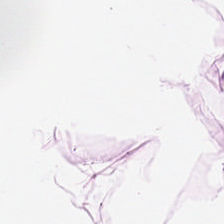Hematoxylin-and-eosin stained section · formalin-fixed paraffin-embedded section — The tissue here is adipose.
